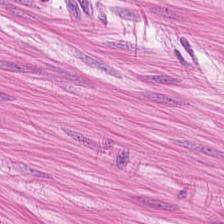H&E — {"tissue_type": "muscularis"}
